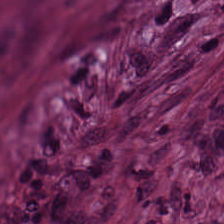H&E-stained tissue section · FFPE tissue section.
This patch shows tumor stroma.
